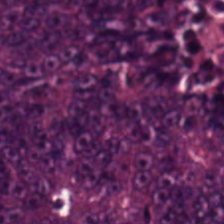Formalin-fixed paraffin-embedded section · hematoxylin-and-eosin stained section · 0.5 microns per pixel — The predominant tissue is tumor epithelium.
